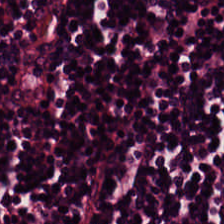Hematoxylin-and-eosin stained section.
The tissue class is lymphocytic infiltrate.
